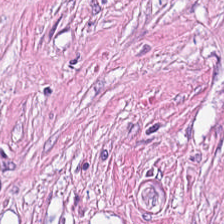Hematoxylin and eosin. WSI patch. 0.5 µm per pixel.
Finding → desmoplastic stroma.
